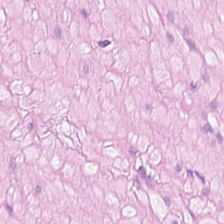H&E. Q: What does this patch show?
A: The field shows smooth muscle.
